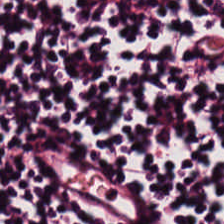H&E · 0.5 microns per pixel — The predominant tissue is lymphocyte aggregate.
